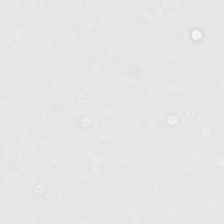Hematoxylin-and-eosin stained section. Brightfield microscopy — The content is no tissue.
